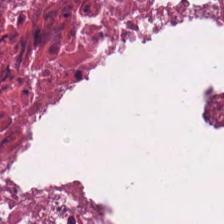FFPE tissue section; H&E-stained tissue section.
Impression → debris.
